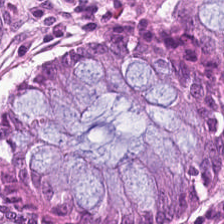WSI patch. H&E-stained tissue section — Predominantly non-neoplastic colon mucosa.
